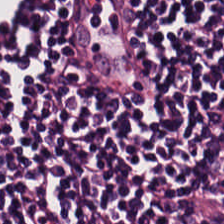Hematoxylin-and-eosin stained section; brightfield. Finding — lymphoid infiltrate.
